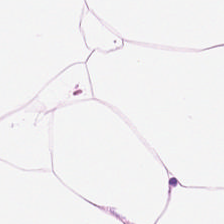Stain: H&E.
Tile size: 224×224 px tile.
Predominant tissue: adipocytes.
